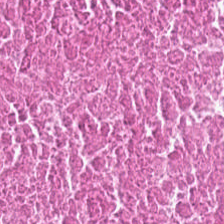{"tissue_type": "necrotic debris"}
